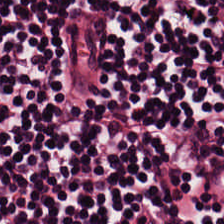Stain: H&E-stained tissue section.
Tissue type: lymphocyte aggregate.
